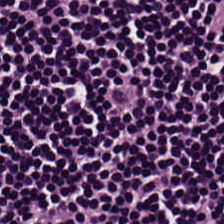Stain: H&E stain.
Tissue type: lymphocytic infiltrate.
